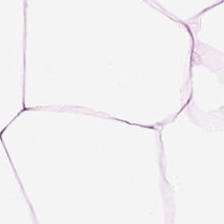Formalin-fixed paraffin-embedded section · whole-slide-image patch · hematoxylin and eosin.
The tissue type is adipose.
